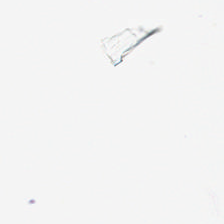0.5 µm per pixel; hematoxylin-and-eosin stained section.
Histology — no tissue.
